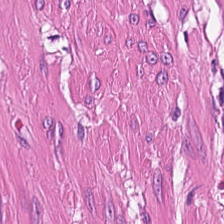20× equivalent magnification · 224×224 px patch · H&E-stained tissue section. Tissue type: smooth muscle.
